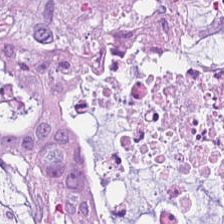Hematoxylin-and-eosin stained section.
The predominant tissue is mucin.
